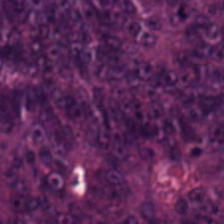Hematoxylin-and-eosin stained section — Q: What is the predominant tissue type?
A: Tumor epithelium.
